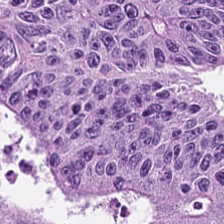224×224 px tile · H&E stain.
Classification — colorectal adenocarcinoma.
